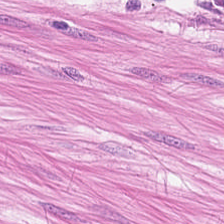Hematoxylin and eosin. The predominant tissue is smooth muscle.
